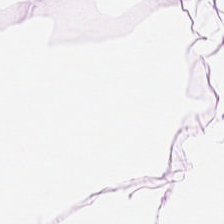Adipose tissue.
